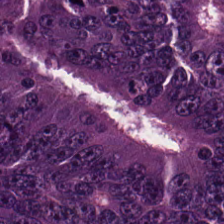H&E stain · 224×224 px patch.
Malignant epithelium.
